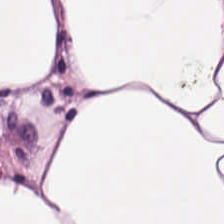Predominantly adipose tissue.
